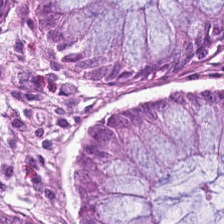FFPE; hematoxylin-and-eosin stained section.
Finding → normal colonic mucosa.
